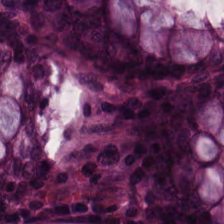H&E-stained tissue section — {"tissue_type": "benign colonic mucosa"}
